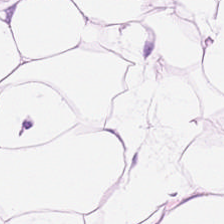Tissue = adipose.
